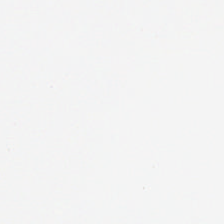Hematoxylin-and-eosin stained section. FFPE tissue section. Classification: background (no tissue).
